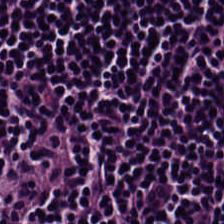0.5 µm per pixel; hematoxylin and eosin; formalin-fixed paraffin-embedded section.
The predominant tissue is lymphocyte aggregate.
